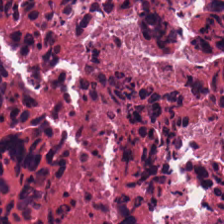H&E stain.
Impression → cellular debris.
